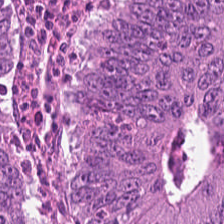H&E stain. Adenocarcinoma.
